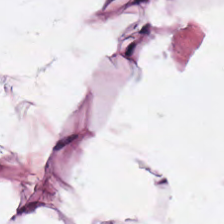0.5 µm per pixel. H&E-stained tissue section. FFPE. Impression — adipose.
